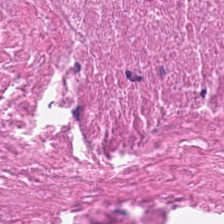H&E-stained tissue section showing cellular debris.
